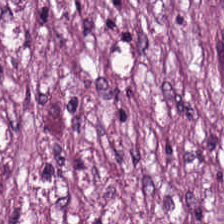Hematoxylin and eosin — The predominant tissue is tumor-associated stroma.
